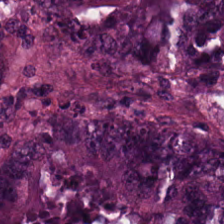Whole-slide-image patch. H&E-stained tissue section — Adenocarcinoma.
